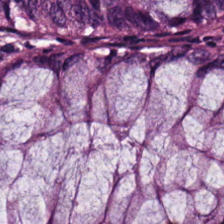H&E. 224×224 pixel tile. FFPE tissue section. The tissue here is non-neoplastic colon mucosa.
